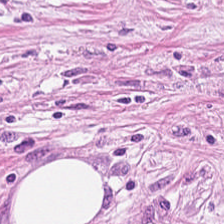Hematoxylin and eosin — This patch shows tumor-associated stroma.
